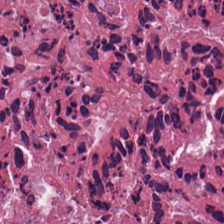Hematoxylin and eosin.
Predominantly necrotic debris.
